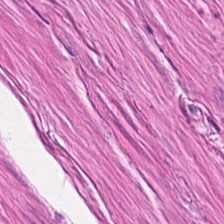H&E-stained tissue section. Q: Identify the tissue.
A: Muscularis.
